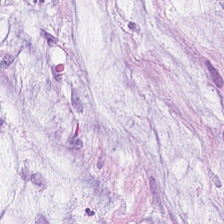H&E stain · 224×224 pixel tile.
{"tissue_type": "extracellular mucin"}
